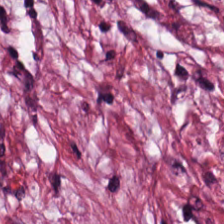H&E-stained tissue section. Classification — tumor-associated stroma.
